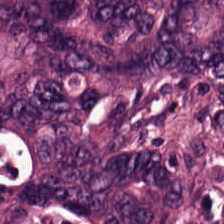Whole-slide-image patch; H&E stain; 0.5 µm per pixel — Q: What tissue type is shown here?
A: This is colorectal adenocarcinoma.
